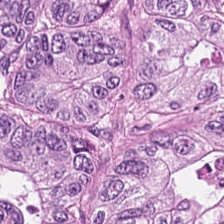H&E stain — Q: What type of tissue is this?
A: It is colorectal adenocarcinoma epithelium.
